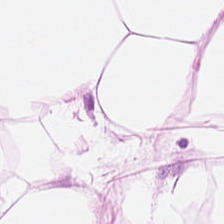H&E-stained tissue section. Finding — fat tissue.
